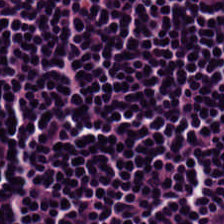Hematoxylin-and-eosin stained section — Finding → lymphocyte aggregate.
